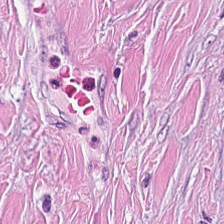H&E-stained tissue section.
{"tissue_type": "tumor-associated stroma"}
